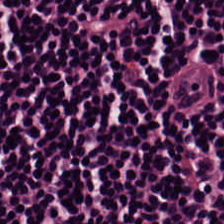H&E stain. 0.5 µm/px — Tissue: lymphocytic infiltrate.
